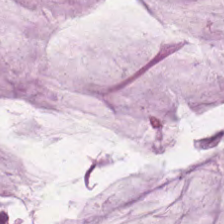Stain: hematoxylin-and-eosin stained section.
Tissue: extracellular mucin.
